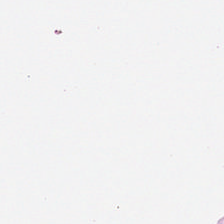Q: What is shown in this field?
A: It is background (no tissue).
